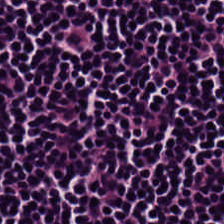H&E-stained tissue section. Tissue class: lymphocytic infiltrate.
